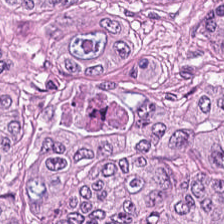224×224 px patch · hematoxylin-and-eosin stained section.
Q: What type of tissue is this?
A: Tumor epithelium.
